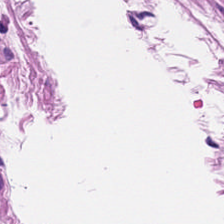224×224 pixel tile · H&E-stained tissue section.
Muscularis.
